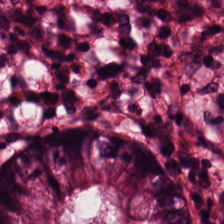Stain: hematoxylin-and-eosin stained section.
Predominant tissue: normal colonic mucosa.
